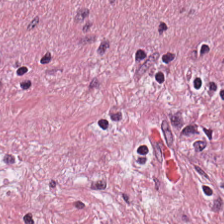FFPE; hematoxylin-and-eosin stained section.
The tissue here is desmoplastic stroma.
